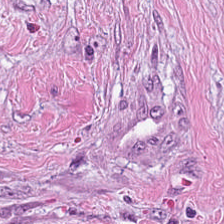H&E stain.
{"tissue_type": "desmoplastic stroma"}
